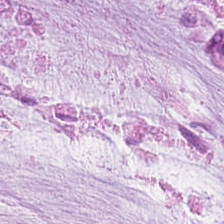H&E-stained tissue section · 0.5 microns per pixel — This field is mucin.
